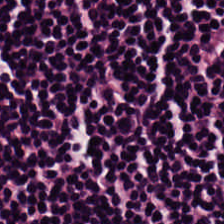Tissue class — lymphocytic infiltrate.
